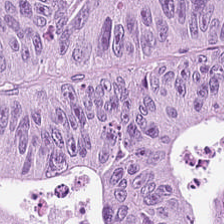Formalin-fixed paraffin-embedded section. Hematoxylin and eosin. Showing adenocarcinoma.
